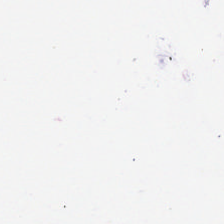H&E stain — Background — no tissue in this field.
